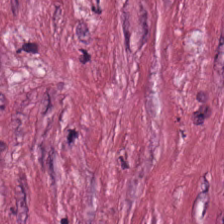Hematoxylin and eosin — Histology → cancer-associated stroma.
